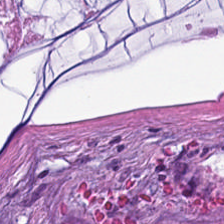Brightfield; H&E stain; 0.5 µm/px — Tissue class = mucus.
